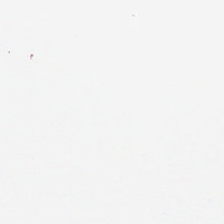WSI patch. Hematoxylin and eosin. 224×224 px tile.
Field content: background (no tissue).
